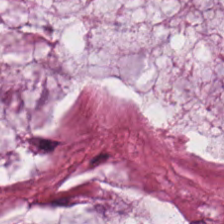Brightfield · H&E stain · FFPE tissue section — Impression → extracellular mucin.
